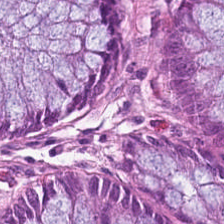H&E-stained tissue section · whole-slide-image patch — The tissue class is normal colon mucosa.
